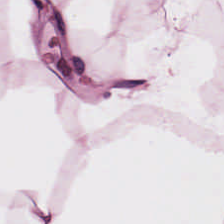Classification — adipocytes.
